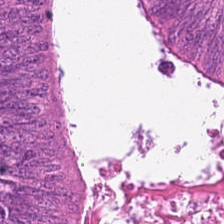{"tissue_type": "malignant epithelium"}
